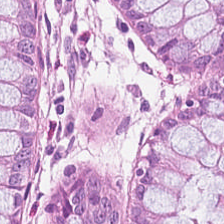The tissue type is normal colon mucosa.
